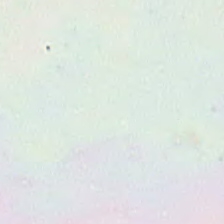224×224 px tile · H&E stain — This field is background (no tissue).
